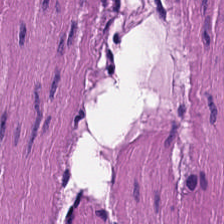H&E — Tissue type = smooth muscle.
